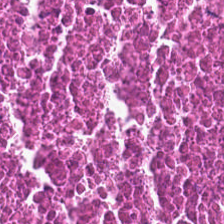H&E.
The classification is necrotic debris.
